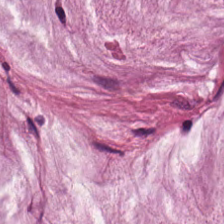Stain: H&E-stained tissue section.
Resolution: 20× equivalent magnification.
Acquisition: WSI patch.
Classification: mucus.
